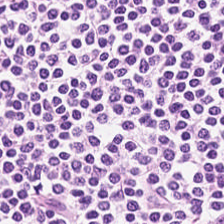Hematoxylin-and-eosin stained section · 0.5 µm/px. Q: What does this patch show?
A: It is lymphocytes.
